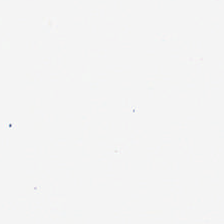H&E.
Empty field — background (no tissue).
